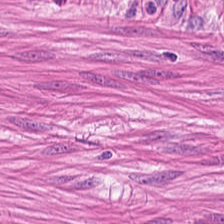Stain: H&E-stained tissue section.
Tissue class: muscularis.
